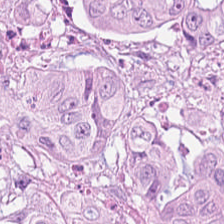H&E.
Q: What tissue is shown?
A: It is malignant epithelium.
